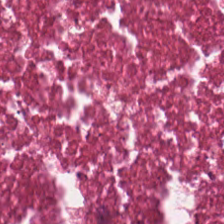H&E; 224×224 pixel tile; FFPE — This field is debris.
